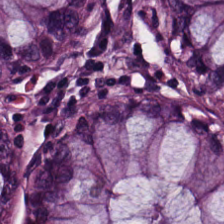Hematoxylin and eosin · brightfield · 20× equivalent magnification — Showing benign colonic mucosa.
